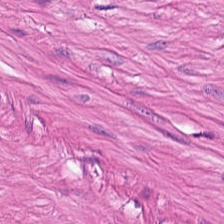Tissue — smooth muscle.
